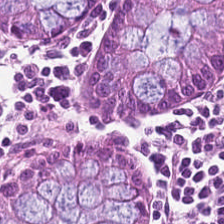Predominant tissue — normal colon mucosa.
